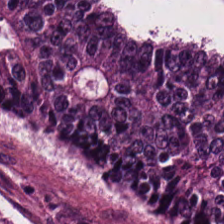Q: What is shown here?
A: The field shows colorectal adenocarcinoma.
